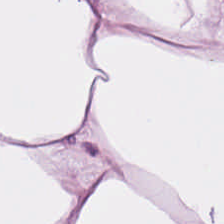H&E-stained tissue section — Showing adipose.
